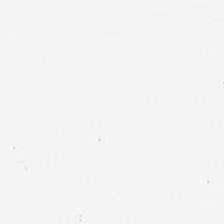Field content: background (no tissue).
